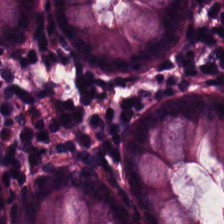H&E — This patch shows non-neoplastic colon mucosa.
